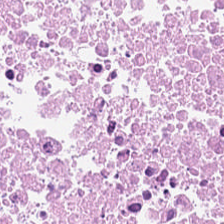H&E patch showing necrotic debris.
